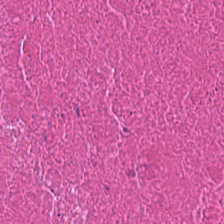H&E — Predominantly necrotic debris.
